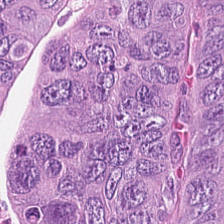224×224 px tile; hematoxylin and eosin — Q: What is the predominant tissue type?
A: The field shows colorectal adenocarcinoma epithelium.
